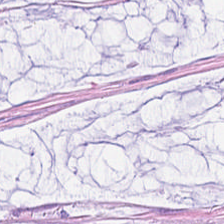Hematoxylin-and-eosin stained section. The predominant tissue is mucus.
